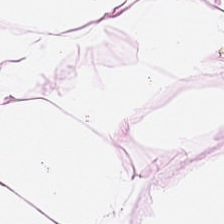Predominant tissue — adipose.
